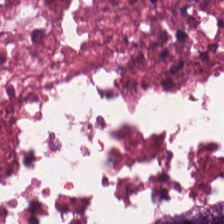Classification = debris.
